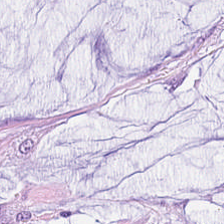Hematoxylin and eosin. 20× equivalent magnification — Q: What does this patch show?
A: Extracellular mucin.
